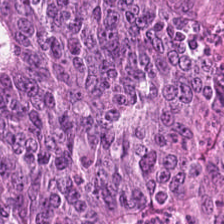Stain: hematoxylin and eosin.
Tissue type: malignant epithelium.
